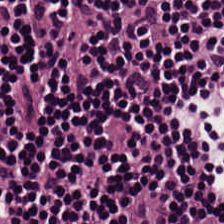H&E. Brightfield. FFPE. Tissue class = lymphoid infiltrate.
